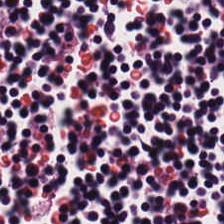FFPE · hematoxylin-and-eosin stained section.
Q: What tissue type is shown here?
A: The field shows lymphocytic infiltrate.
